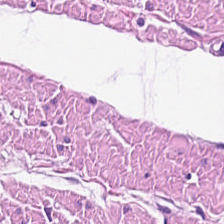Hematoxylin and eosin. Showing muscularis.
